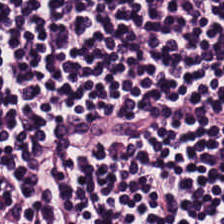H&E stain.
This field is lymphocytic infiltrate.
